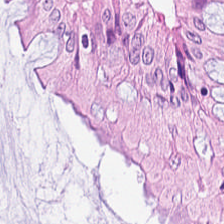Hematoxylin and eosin. This patch shows normal colon mucosa.
